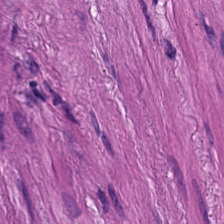Stain: hematoxylin-and-eosin stained section.
Predominant tissue: smooth-muscle tissue.
